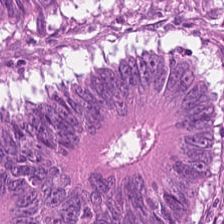Tissue class = colorectal adenocarcinoma epithelium.
